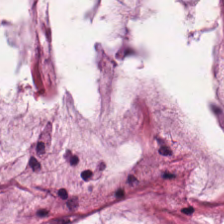0.5 µm per pixel · 224×224 pixel tile · hematoxylin and eosin.
The predominant tissue is mucus.
